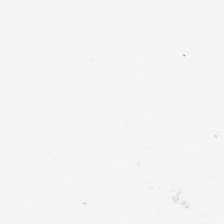224×224 px tile. 0.5 µm per pixel. Hematoxylin-and-eosin stained section — Histology → adipose tissue.
